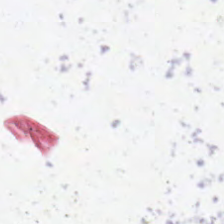H&E-stained tissue section; FFPE — Empty field — no tissue.
